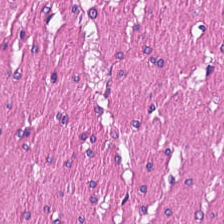H&E stain. Q: What is shown here?
A: The field shows smooth-muscle tissue.
